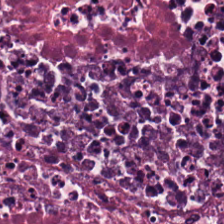WSI patch. H&E-stained tissue section.
Q: Identify the tissue.
A: The field shows cellular debris.
